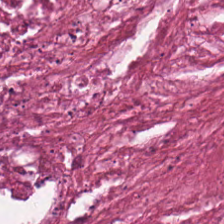H&E stain — The tissue class is cellular debris.
